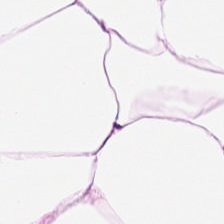Hematoxylin-and-eosin stained section.
Histology → fat tissue.
